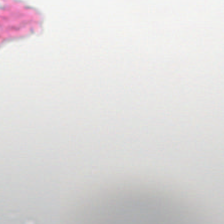Classification: background.
